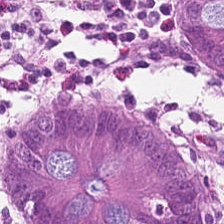Hematoxylin and eosin.
Q: What is shown in this field?
A: It is non-neoplastic colon mucosa.
